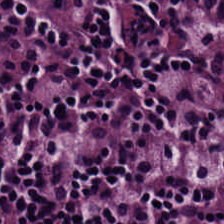Lymphocyte aggregate.
